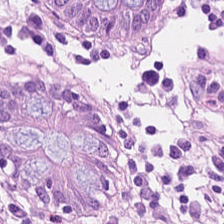This patch shows normal colonic mucosa.
